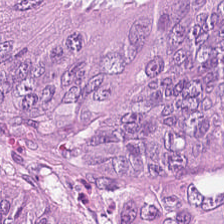Predominant tissue: malignant epithelium.
